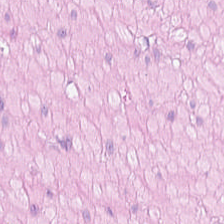Predominantly smooth muscle.
